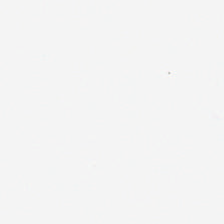H&E-stained tissue section. FFPE tissue section. Classification — no tissue.
